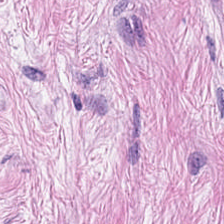Hematoxylin-and-eosin stained section. This field is tumor-associated stroma.
